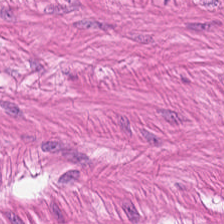H&E-stained tissue section. Q: Identify the tissue.
A: It is smooth-muscle tissue.
